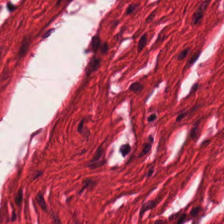Hematoxylin and eosin — Q: What is shown in this field?
A: It is muscularis.
